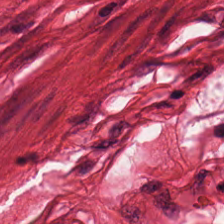Hematoxylin-and-eosin stained section — {"tissue_type": "muscularis"}
